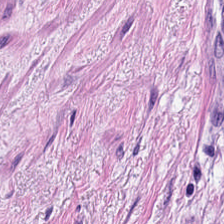H&E stain — Predominant tissue — smooth-muscle tissue.
